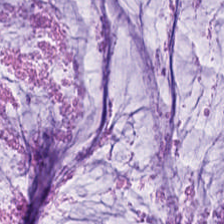Tissue class — mucin.
